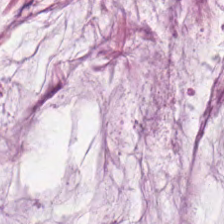Hematoxylin-and-eosin stained section.
Q: What type of tissue is this?
A: It is mucus.
